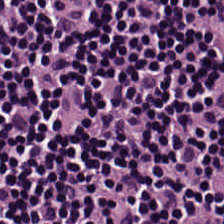H&E-stained tissue section. This patch shows lymphocytic infiltrate.
